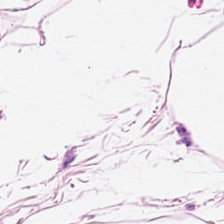H&E.
Tissue type: fat tissue.
